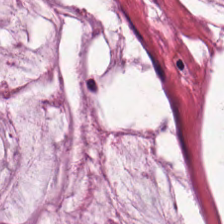Classification = extracellular mucin.
